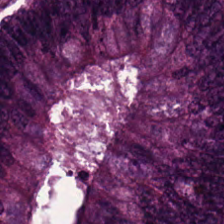Hematoxylin and eosin.
This field is colorectal adenocarcinoma epithelium.
